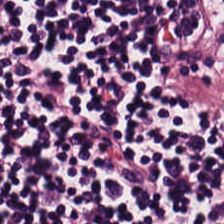H&E stain — Predominantly lymphocytic infiltrate.
